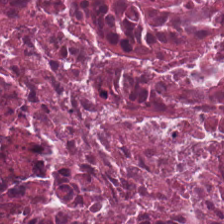Predominant tissue: necrotic debris.
